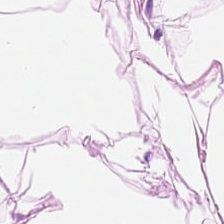FFPE tissue section. H&E.
Tissue class — fat tissue.
